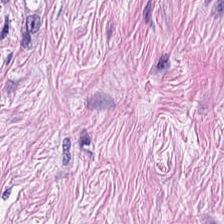The predominant tissue is desmoplastic stroma.
